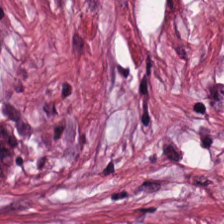Hematoxylin and eosin — {"tissue_type": "tumor stroma"}
